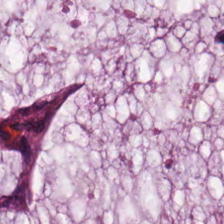H&E-stained tissue section. The predominant tissue is mucus.
